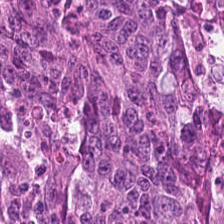Hematoxylin and eosin. 0.5 microns per pixel. 224×224 px tile. Tissue type: colorectal adenocarcinoma.
